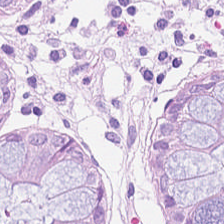Hematoxylin-and-eosin stained section; WSI patch — Tissue: normal colon mucosa.
